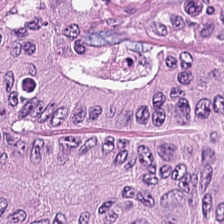224×224 pixel tile · H&E. {"tissue_type": "colorectal adenocarcinoma"}
